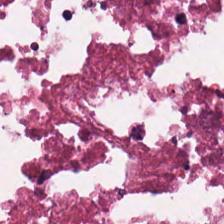FFPE tissue section · 0.5 µm per pixel · hematoxylin and eosin — Necrotic debris.
